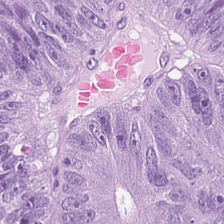The tissue here is adenocarcinoma.
